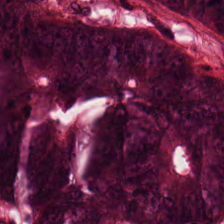H&E-stained tissue section · whole-slide-image patch.
Impression → adenocarcinoma.
